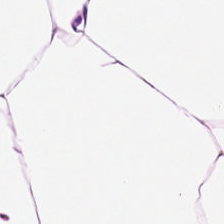Tissue class: fat tissue.
